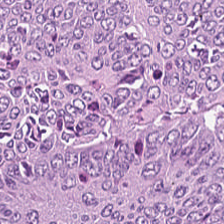Stain: hematoxylin-and-eosin stained section.
Acquisition: brightfield.
Predominant tissue: colorectal adenocarcinoma epithelium.
